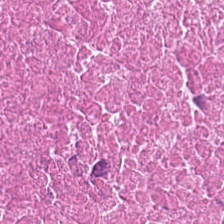Tissue type = cellular debris.
